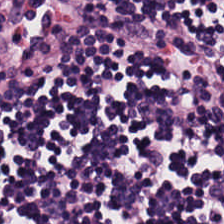H&E · 224×224 pixel tile · FFPE tissue section.
Q: What type of tissue is this?
A: This is lymphoid infiltrate.
